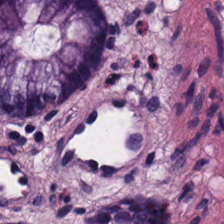Q: What tissue type is shown here?
A: The field shows benign colonic mucosa.
